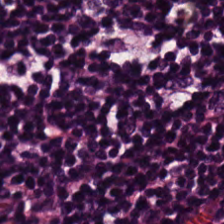Q: Identify the tissue.
A: It is lymphoid infiltrate.
